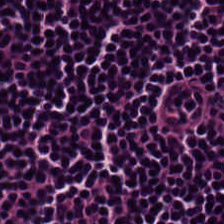The predominant tissue is lymphocytic infiltrate.
